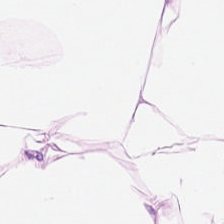FFPE; H&E-stained tissue section — This field is adipocytes.
